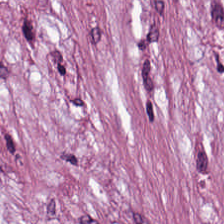Brightfield. Hematoxylin and eosin — The classification is cancer-associated stroma.
